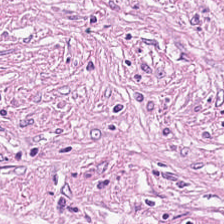H&E.
Histology — desmoplastic stroma.
